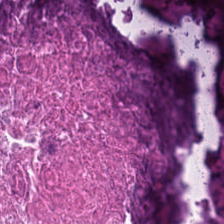H&E-stained tissue section.
Tissue class — necrotic debris.
